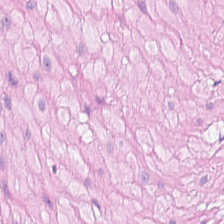H&E-stained tissue section · 224×224 pixel tile — {"tissue_type": "smooth-muscle tissue"}
